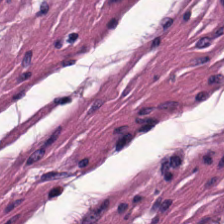Hematoxylin and eosin.
This patch shows muscularis.
